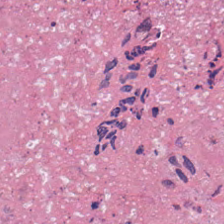H&E patch showing debris.
